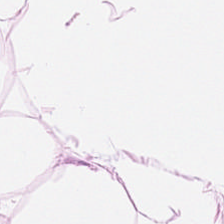H&E-stained section; the field shows adipocytes.
